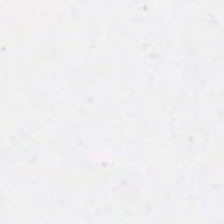H&E-stained tissue section — Finding → background (no tissue).
